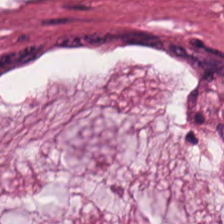Showing extracellular mucin.
